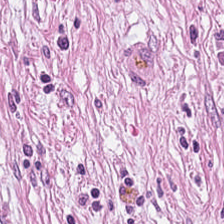Hematoxylin and eosin; 0.5 µm per pixel. Classification = tumor-associated stroma.
